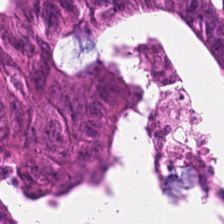H&E stain — The tissue here is colorectal adenocarcinoma.
